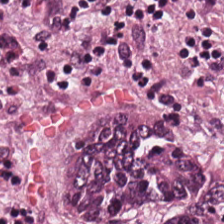{"tissue_type": "adenocarcinoma"}
